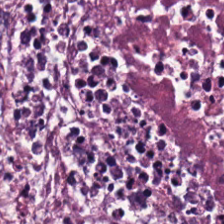Hematoxylin-and-eosin stained section · FFPE tissue section — Tissue type: cellular debris.
